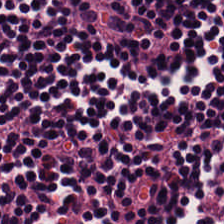Tissue class: lymphocyte aggregate.
